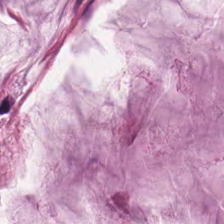Finding — mucus.
